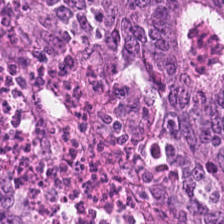Hematoxylin-and-eosin stained section; brightfield microscopy — Predominant tissue — colorectal adenocarcinoma epithelium.
